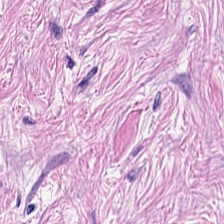The tissue is tumor-associated stroma.
